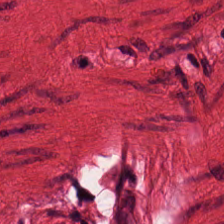Hematoxylin and eosin.
This field is smooth-muscle tissue.
